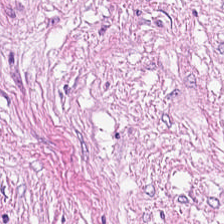H&E patch showing tumor-associated stroma.
